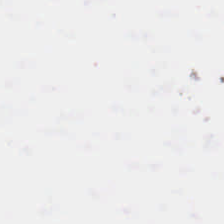Hematoxylin-and-eosin stained section · 224×224 px patch. No tissue present; background only.
